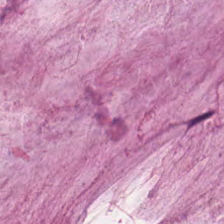Hematoxylin-and-eosin stained section. Predominant tissue — mucin.
